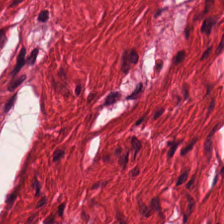Stain: H&E-stained tissue section.
Classification: muscularis.
